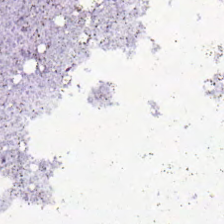Finding → empty background.
